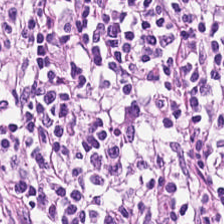Stain: hematoxylin and eosin.
Resolution: 20× equivalent magnification.
Tile size: 224×224 pixel tile.
Tissue type: lymphocyte aggregate.
